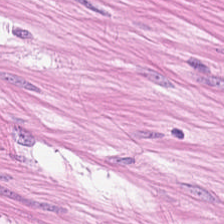Hematoxylin and eosin.
Predominantly smooth-muscle tissue.
